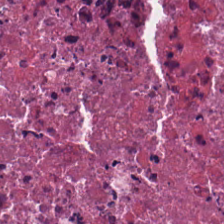H&E-stained tissue section.
The tissue here is debris.
